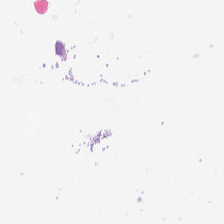Hematoxylin and eosin · 224×224 px tile · 0.5 µm/px.
{"content": "background (no tissue)"}
